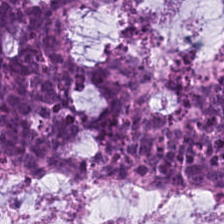Brightfield · FFPE tissue section · hematoxylin-and-eosin stained section — Q: What is shown in this field?
A: The field shows mucus.
